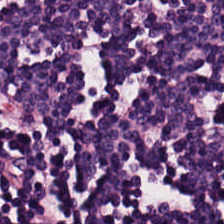FFPE tissue section; 0.5 microns per pixel; H&E-stained tissue section. The classification is lymphoid infiltrate.
